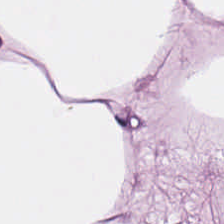This field is adipose tissue.
